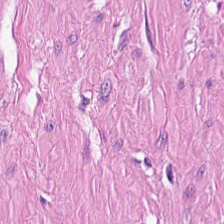The tissue type is smooth muscle.
